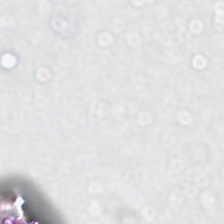H&E-stained tissue section · brightfield.
Q: Classify this patch.
A: This is no tissue.
